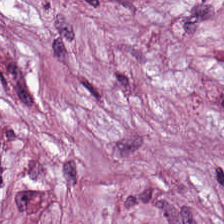Tissue class — tumor-associated stroma.
